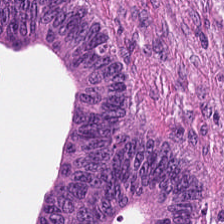{"tissue_type": "malignant epithelium"}
